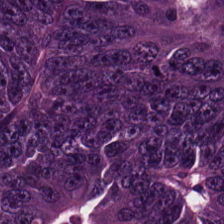Tissue — malignant epithelium.
